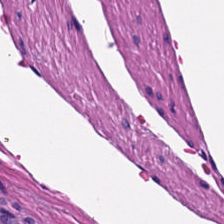Hematoxylin and eosin. 224×224 px patch. WSI patch — Classification: smooth muscle.
